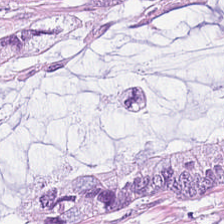Hematoxylin and eosin; brightfield; 0.5 microns per pixel — Tissue: mucus.
